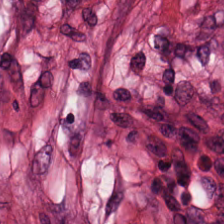H&E-stained tissue section — Q: What type of tissue is this?
A: The field shows desmoplastic stroma.
